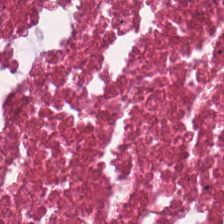Hematoxylin-and-eosin stained section. The tissue here is debris.
